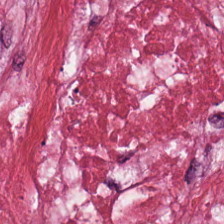Hematoxylin and eosin.
Q: Identify the tissue.
A: This is cancer-associated stroma.
